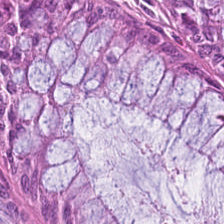H&E-stained tissue section. Predominantly normal colonic mucosa.
